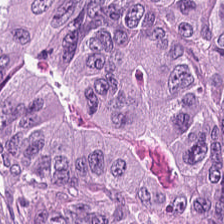Hematoxylin-and-eosin stained section. Tissue — malignant epithelium.
